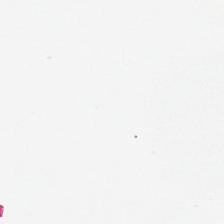FFPE; hematoxylin-and-eosin stained section.
No tissue present; background only.
